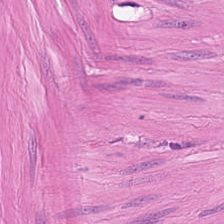Impression — muscularis.
